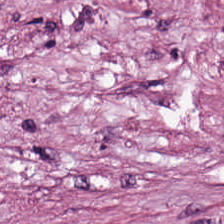H&E stain.
Classification — tumor-associated stroma.
